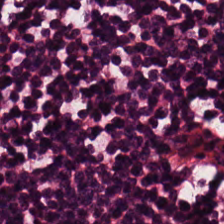0.5 µm per pixel · H&E. Classification: lymphocytic infiltrate.
